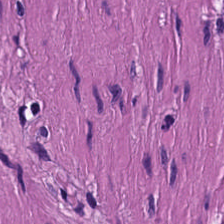H&E.
{"tissue_type": "smooth-muscle tissue"}
